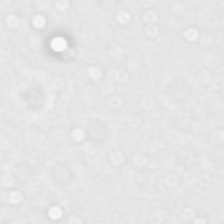Stain: H&E.
Field content: empty background.
